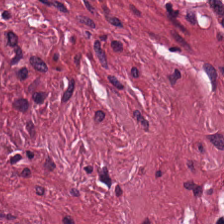{"tissue_type": "tumor-associated stroma"}
